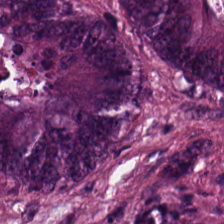Hematoxylin-and-eosin stained section; FFPE; 0.5 µm/px — Tissue type: tumor epithelium.
